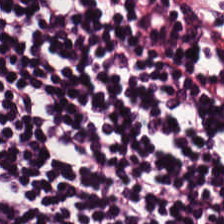Stain: hematoxylin-and-eosin stained section.
Tissue class: lymphoid infiltrate.
